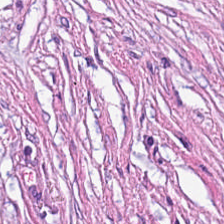Impression — cancer-associated stroma.
